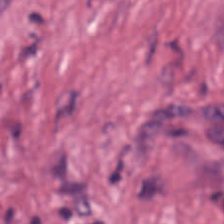H&E.
Q: What is shown in this field?
A: Desmoplastic stroma.
